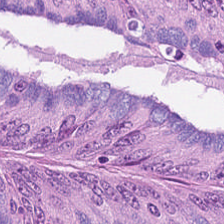H&E. The tissue is malignant epithelium.
